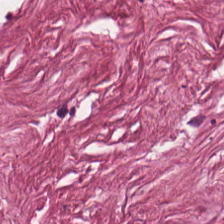Histology — cancer-associated stroma.
